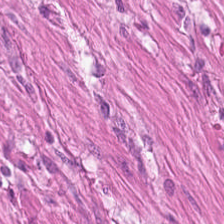FFPE tissue section; 0.5 µm/px; H&E.
Smooth muscle.
